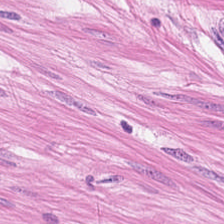Hematoxylin and eosin; 224×224 pixel tile. {"tissue_type": "muscularis"}
